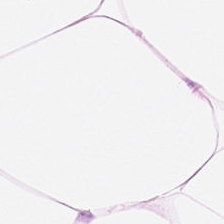224×224 pixel tile · hematoxylin and eosin.
Tissue type = adipose tissue.
